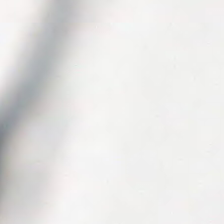No tissue present; background only.
